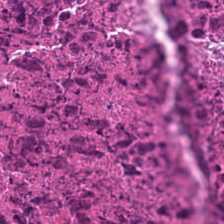Hematoxylin-and-eosin stained section. Tissue = cellular debris.
